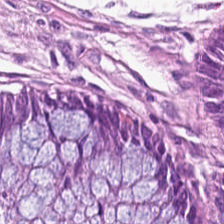Hematoxylin and eosin. Predominant tissue = benign colonic mucosa.
